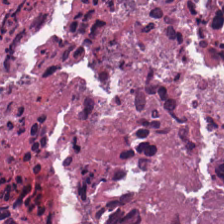Q: What is shown here?
A: The field shows cellular debris.
